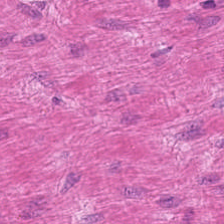Whole-slide-image patch; hematoxylin and eosin.
Q: What type of tissue is this?
A: Muscularis.
